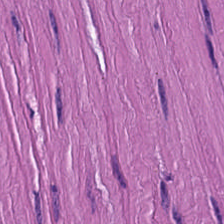Muscularis.
